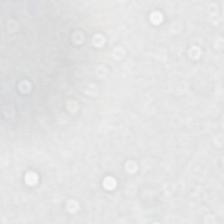Field content: empty background.
